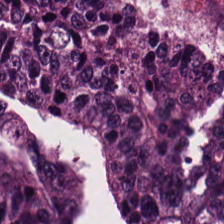WSI patch; H&E — The predominant tissue is malignant epithelium.
